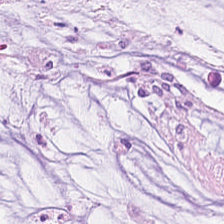Hematoxylin and eosin — The tissue type is extracellular mucin.
